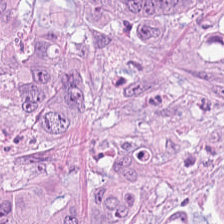Hematoxylin and eosin. Q: What is shown here?
A: This is colorectal adenocarcinoma epithelium.
